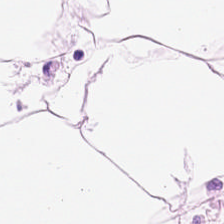Tissue class: fat tissue.
